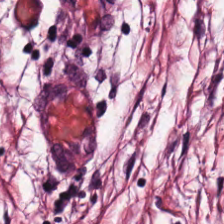Hematoxylin and eosin; whole-slide-image patch. {"tissue_type": "tumor stroma"}
